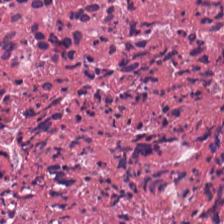H&E stain.
Impression → cellular debris.
